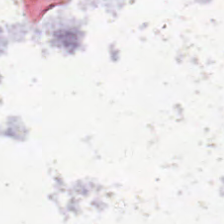Hematoxylin-and-eosin stained section — No tissue present; background only.
